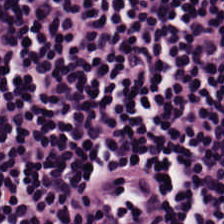Hematoxylin and eosin — Histology — lymphocytic infiltrate.
